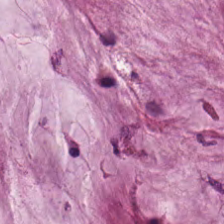Formalin-fixed paraffin-embedded section. 0.5 µm/px. H&E — {"tissue_type": "extracellular mucin"}
